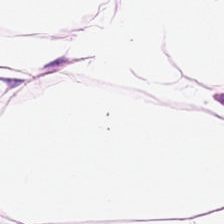0.5 µm per pixel · whole-slide-image patch · H&E.
Tissue class — adipose tissue.
